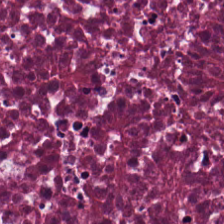Hematoxylin-and-eosin stained section — Tissue — cellular debris.
